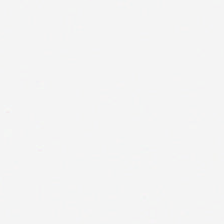Field content: background (no tissue).
